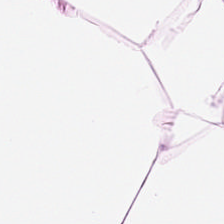Hematoxylin-and-eosin stained section · brightfield microscopy.
This field is adipose tissue.
